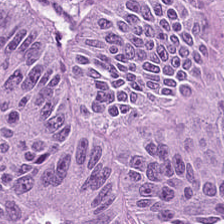Hematoxylin-and-eosin stained section — The predominant tissue is colorectal adenocarcinoma.
